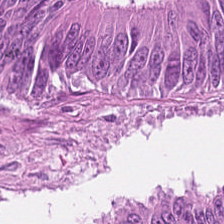Stain: H&E-stained tissue section.
Preparation: formalin-fixed paraffin-embedded section.
Predominant tissue: colorectal adenocarcinoma epithelium.
